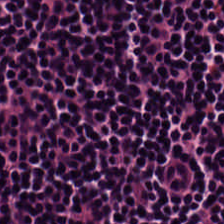0.5 µm/px · hematoxylin-and-eosin stained section · brightfield.
The predominant tissue is lymphocytic infiltrate.
